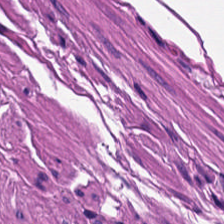H&E — Predominantly smooth muscle.
